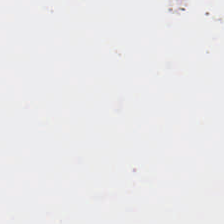Stain: H&E-stained tissue section.
Field content: background.
